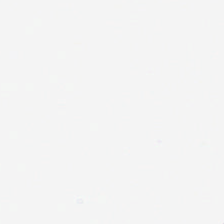Field content = background (no tissue).
